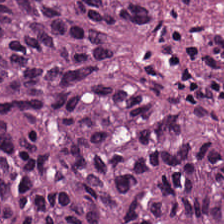H&E. Predominantly malignant epithelium.
